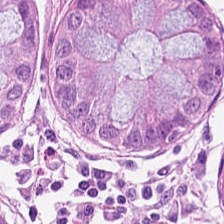Formalin-fixed paraffin-embedded section · H&E-stained tissue section.
Non-neoplastic colon mucosa.
